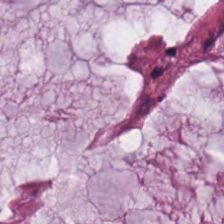{"tissue_type": "mucin"}
